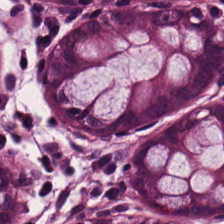H&E. Finding — normal colon mucosa.
